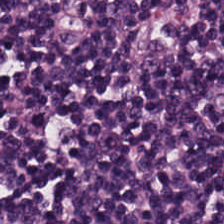FFPE tissue section. H&E-stained tissue section. Showing lymphocytic infiltrate.
